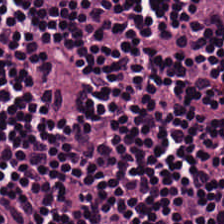Predominant tissue: lymphocyte aggregate.
